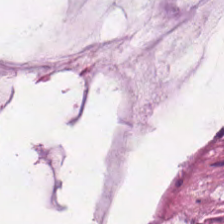20× equivalent magnification · hematoxylin-and-eosin stained section · brightfield microscopy — This patch shows extracellular mucin.
